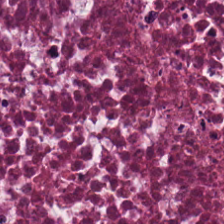Hematoxylin and eosin. Predominantly debris.
